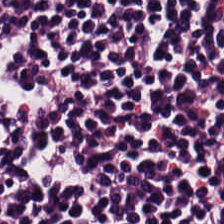Hematoxylin-and-eosin stained section. Whole-slide-image patch. Q: What is shown here?
A: Lymphocytic infiltrate.
